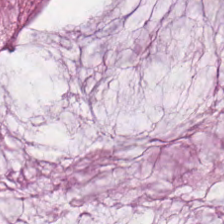Tissue = mucus.
